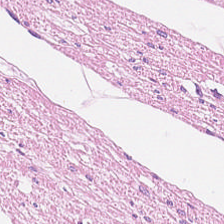20× equivalent magnification; hematoxylin and eosin — Q: Identify the tissue.
A: Muscularis.
